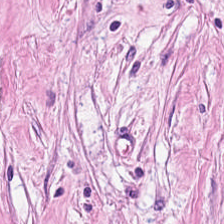Hematoxylin-and-eosin stained section — The predominant tissue is tumor stroma.
